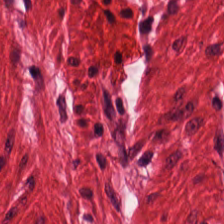224×224 pixel tile · H&E · 0.5 microns per pixel — {"tissue_type": "muscularis"}
